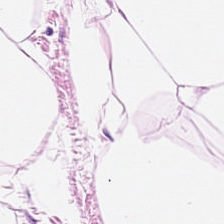H&E-stained tissue section — Q: What is shown in this field?
A: The field shows adipocytes.
